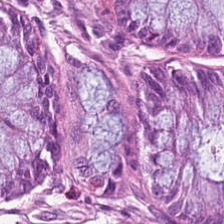20× equivalent magnification · 224×224 px patch · H&E stain.
Showing benign colonic mucosa.
